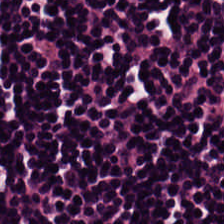H&E-stained tissue section — Lymphocytic infiltrate.
